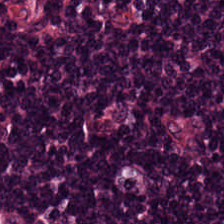H&E · FFPE tissue section.
Predominantly lymphocyte aggregate.
